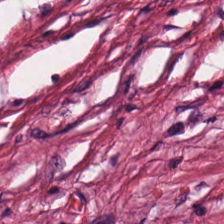H&E · 20× equivalent magnification — Q: What tissue is shown?
A: The field shows desmoplastic stroma.
